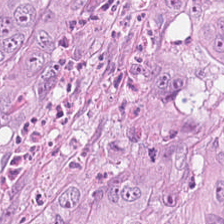H&E. {"tissue_type": "tumor epithelium"}
